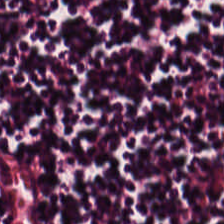224×224 px tile · hematoxylin and eosin · brightfield.
{"tissue_type": "lymphoid infiltrate"}
